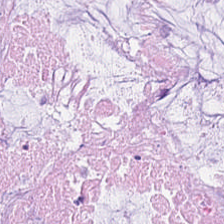Tissue type — extracellular mucin.
